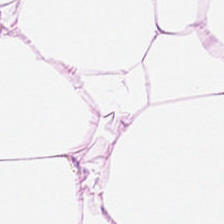Impression → adipose tissue.
